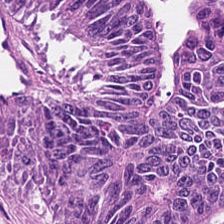H&E-stained tissue section. The tissue here is colorectal adenocarcinoma epithelium.
